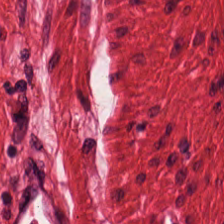224×224 px tile · H&E-stained tissue section · brightfield — Q: What is shown here?
A: Muscularis.
